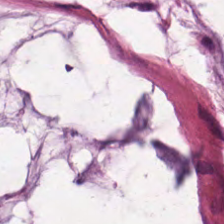The tissue here is mucin.
